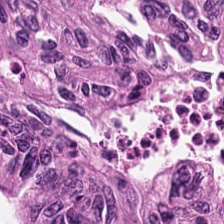Impression → malignant epithelium.
